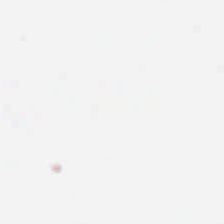H&E-stained tissue section · FFPE tissue section — This patch shows background (no tissue).
